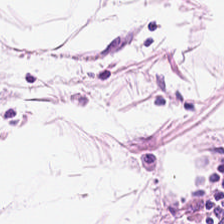H&E stain — The predominant tissue is adipose.
